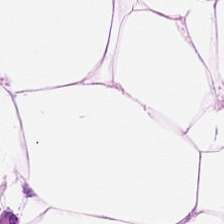H&E-stained tissue section.
Impression → fat tissue.
